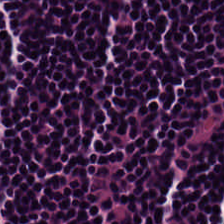20× equivalent magnification. H&E stain.
This patch shows lymphocyte aggregate.
